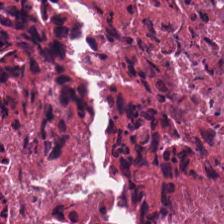H&E stain — This field is debris.
